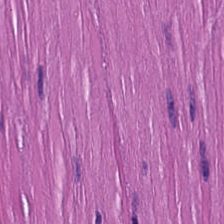Smooth-muscle tissue.
